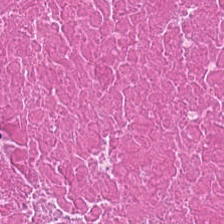H&E · 0.5 µm per pixel. Histology — debris.
